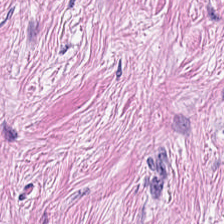Stain: H&E.
Classification: cancer-associated stroma.
